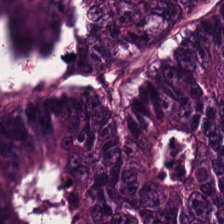WSI patch; hematoxylin-and-eosin stained section; 224×224 px patch. This field is adenocarcinoma.
